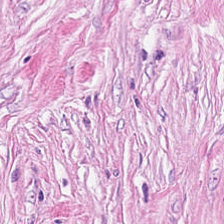Stain: hematoxylin-and-eosin stained section.
Acquisition: brightfield microscopy.
Tile size: 224×224 px patch.
Classification: cancer-associated stroma.
